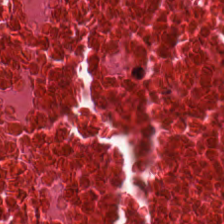Hematoxylin-and-eosin section: debris.
